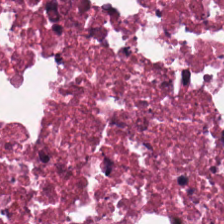The predominant tissue is cellular debris.
